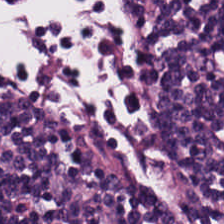Stain: H&E.
Classification: lymphocyte aggregate.
